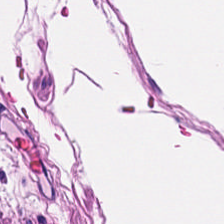H&E stain.
Showing smooth-muscle tissue.
